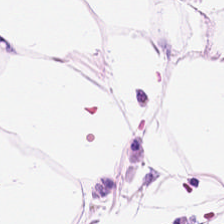H&E-stained tissue section. Finding — adipocytes.
